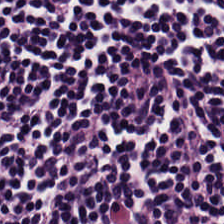Hematoxylin-and-eosin stained section.
Predominantly lymphocyte aggregate.
